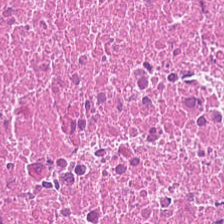H&E stain — Q: What tissue type is shown here?
A: This is debris.
